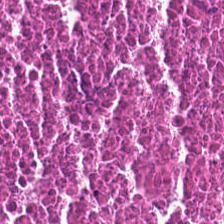224×224 px patch. H&E-stained tissue section.
Showing cellular debris.
